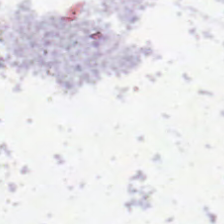H&E · FFPE tissue section — Histology — background.
